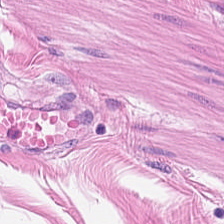FFPE tissue section · brightfield microscopy · hematoxylin-and-eosin stained section. This patch shows smooth muscle.
